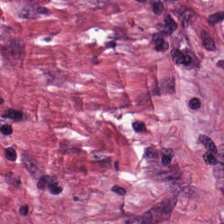H&E-stained tissue section.
Classification — desmoplastic stroma.
